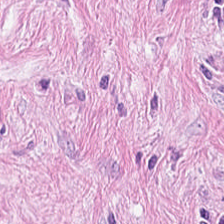Hematoxylin and eosin. Tumor stroma.
